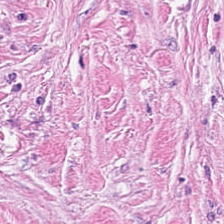Brightfield; H&E stain; 0.5 µm per pixel.
Cancer-associated stroma.
